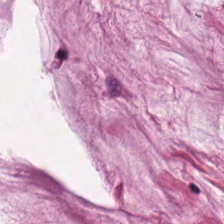H&E stain; brightfield microscopy. The predominant tissue is extracellular mucin.
